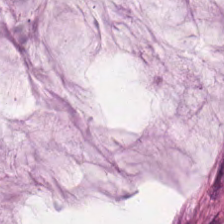Tissue: mucus.
